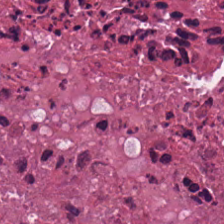H&E stain · brightfield · 224×224 px patch — Predominant tissue: debris.
